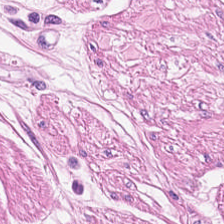Q: What tissue type is shown here?
A: The field shows smooth-muscle tissue.
